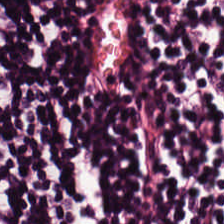FFPE tissue section · hematoxylin-and-eosin stained section. {"tissue_type": "lymphoid infiltrate"}
